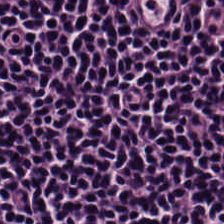H&E. Histology — lymphocytic infiltrate.
